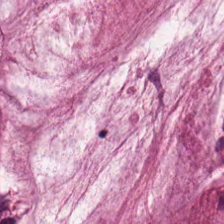Predominantly mucin.
